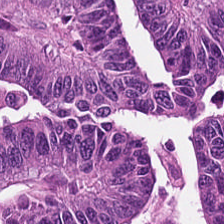H&E stain.
The tissue here is adenocarcinoma.
